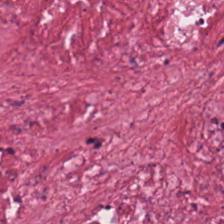Hematoxylin-and-eosin stained section. {"tissue_type": "cancer-associated stroma"}
